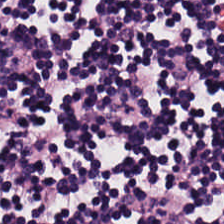Stain: H&E.
Resolution: 0.5 microns per pixel.
Acquisition: brightfield.
Tissue type: lymphoid infiltrate.
